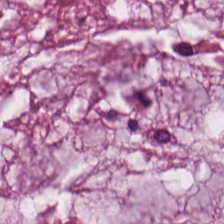Stain: H&E-stained tissue section.
Classification: extracellular mucin.
